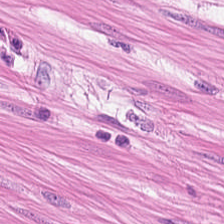Hematoxylin-and-eosin stained section. Tissue: smooth muscle.
